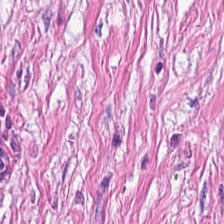Tumor stroma.
